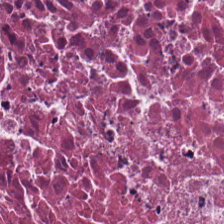Hematoxylin-and-eosin stained section. Q: What tissue type is shown here?
A: This is cellular debris.
